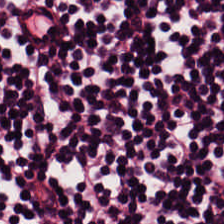FFPE tissue section. Hematoxylin-and-eosin stained section. 224×224 px tile. Finding — lymphocytic infiltrate.
